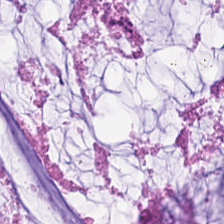Hematoxylin and eosin.
Tissue — extracellular mucin.
